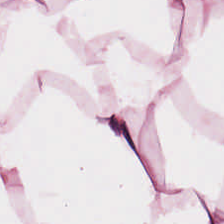224×224 pixel tile. H&E stain.
Predominantly adipose tissue.
